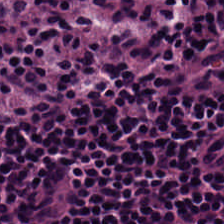Hematoxylin-and-eosin stained section. Tissue class — lymphocytes.
